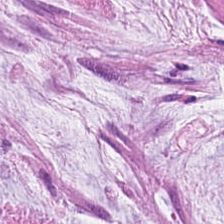This patch shows mucus.
